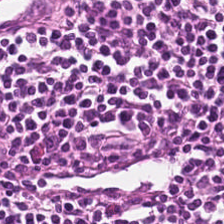Hematoxylin-and-eosin stained section — Q: What tissue is shown?
A: The field shows lymphocytes.
